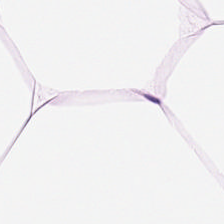FFPE; H&E-stained tissue section. Q: What does this patch show?
A: This is adipose tissue.
